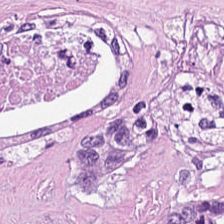H&E stain; 20× equivalent magnification. The tissue here is debris.
